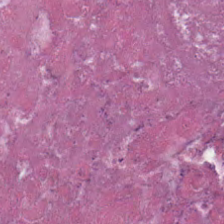H&E. The tissue here is cellular debris.
